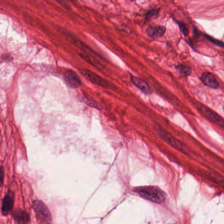H&E stain — Showing muscularis.
